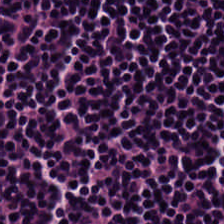FFPE tissue section · hematoxylin and eosin. Q: What is shown in this field?
A: This is lymphoid infiltrate.
